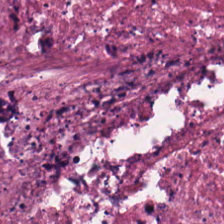Brightfield microscopy · hematoxylin-and-eosin stained section.
Tissue: cellular debris.
